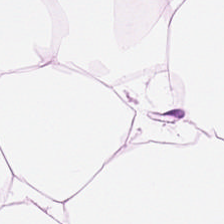Stain: H&E-stained tissue section.
Tissue type: fat tissue.
